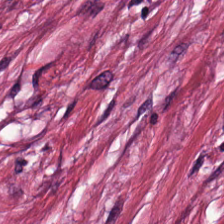Hematoxylin and eosin — Showing desmoplastic stroma.
